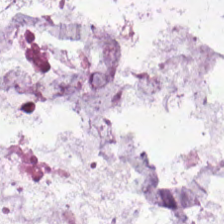Tissue type — extracellular mucin.
